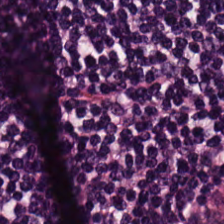H&E; WSI patch — Impression → lymphocyte aggregate.
